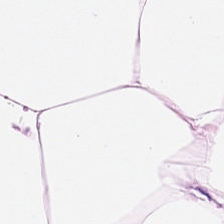H&E. The classification is adipocytes.
